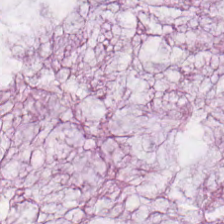Stain: hematoxylin and eosin.
Tissue class: mucus.
